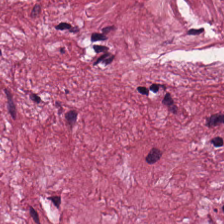Stain: H&E stain.
Preparation: FFPE tissue section.
Resolution: 0.5 µm per pixel.
Classification: desmoplastic stroma.
